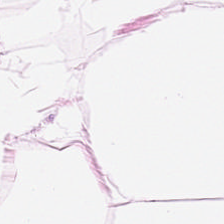H&E-stained tissue section. Q: Identify the tissue.
A: Fat tissue.
